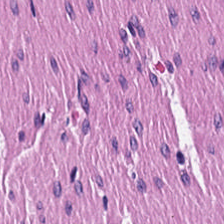H&E-stained tissue section. Formalin-fixed paraffin-embedded section. Histology → muscularis.
